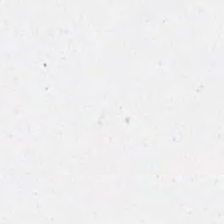H&E · WSI patch — Field content — background.
